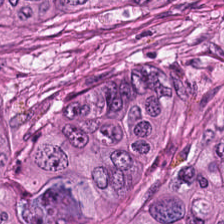Q: What tissue is shown?
A: This is adenocarcinoma.
